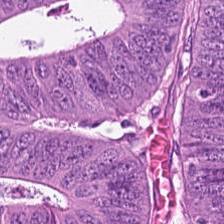Histology → malignant epithelium.
